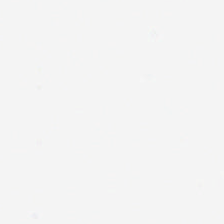Hematoxylin and eosin. Field content = no tissue.
